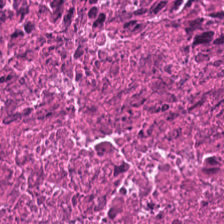Predominant tissue — necrotic debris.
